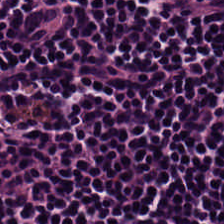0.5 µm/px. H&E — Lymphoid infiltrate.
